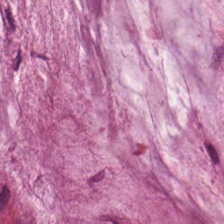The predominant tissue is mucin.
